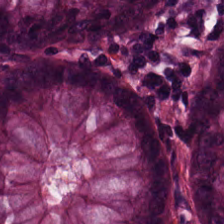FFPE tissue section · H&E-stained tissue section. Normal colonic mucosa.
